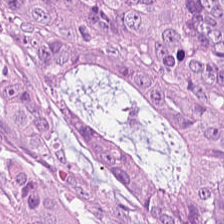Q: What tissue is shown?
A: It is colorectal adenocarcinoma.
